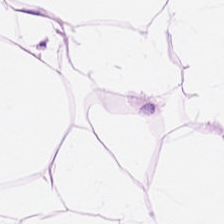FFPE · H&E-stained tissue section · 0.5 µm/px.
Impression → adipose tissue.
